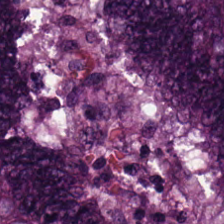H&E-stained tissue section.
The predominant tissue is tumor epithelium.
